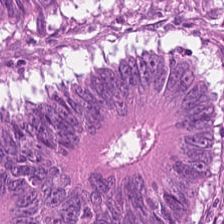The tissue class is adenocarcinoma.
